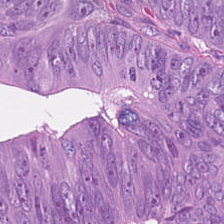H&E-stained tissue section.
Predominantly adenocarcinoma.
